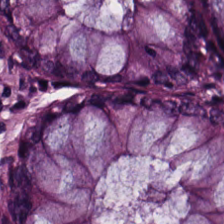Hematoxylin-and-eosin stained section — Non-neoplastic colon mucosa.
